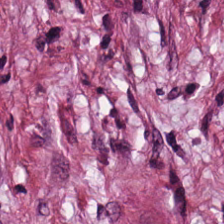224×224 px patch · H&E. Histology → tumor-associated stroma.
